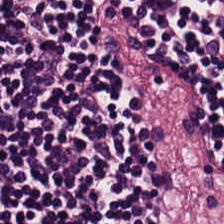Tissue class: lymphoid infiltrate.
